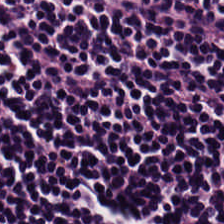224×224 px tile; hematoxylin-and-eosin stained section — Lymphocytes.
